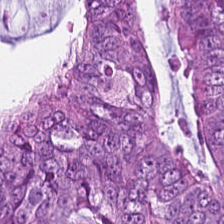H&E-stained tissue section.
This field is malignant epithelium.
